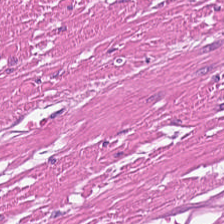H&E — muscularis.
